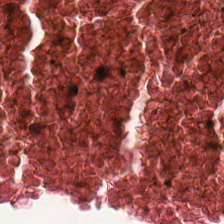H&E stain · 20× equivalent magnification — This field is debris.
